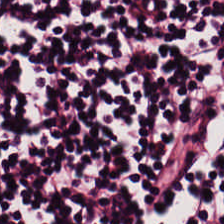H&E.
Predominant tissue: lymphocyte aggregate.
